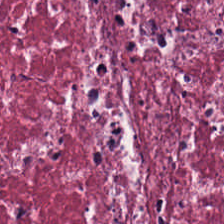Hematoxylin-and-eosin stained section.
Showing cancer-associated stroma.
